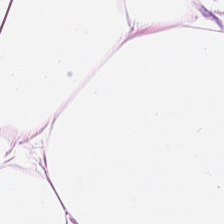{"tissue_type": "adipose"}
